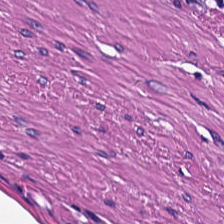224×224 px tile. Hematoxylin and eosin. {"tissue_type": "smooth muscle"}
